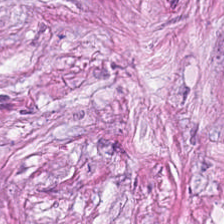224×224 pixel tile; FFPE; hematoxylin-and-eosin stained section.
Histology → tumor stroma.
